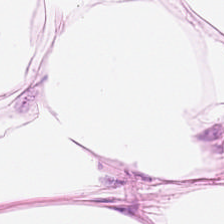H&E stain. 224×224 px tile — This field is fat tissue.
